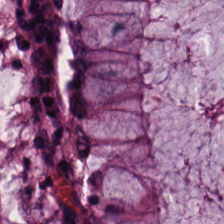H&E-stained tissue section — This patch shows normal colon mucosa.
